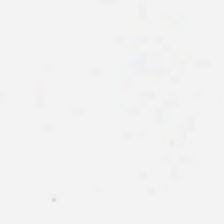Empty background.
